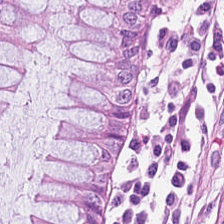Brightfield · H&E-stained tissue section — This field is non-neoplastic colon mucosa.
